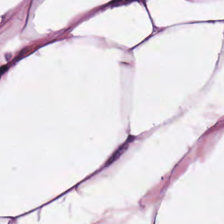224×224 pixel tile; H&E-stained tissue section; FFPE tissue section.
This patch shows fat tissue.
